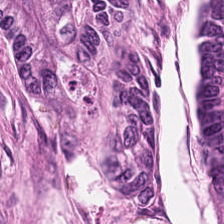Hematoxylin-and-eosin stained section · formalin-fixed paraffin-embedded section.
The tissue here is adenocarcinoma.
